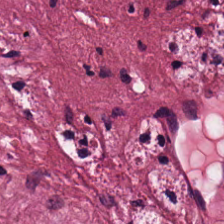Q: What tissue is shown?
A: Tumor stroma.
